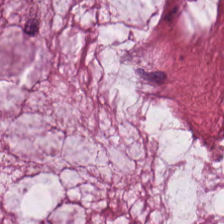Stain: H&E-stained tissue section.
Tissue: extracellular mucin.
